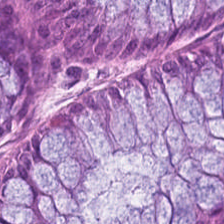H&E stain · brightfield microscopy · 224×224 pixel tile. Tissue class = non-neoplastic colon mucosa.
